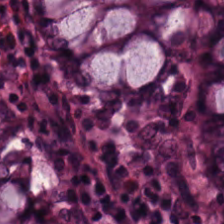Stain: H&E-stained tissue section.
Tissue: benign colonic mucosa.
